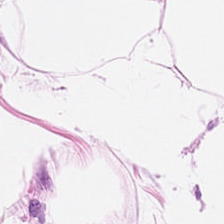Hematoxylin and eosin. {"tissue_type": "adipocytes"}
